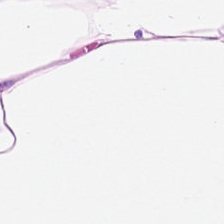Stain: hematoxylin-and-eosin stained section.
Tile size: 224×224 pixel tile.
Tissue type: adipose.
